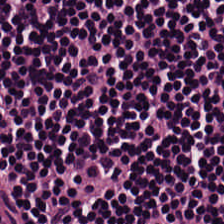Stain: hematoxylin and eosin.
Tissue class: lymphoid infiltrate.
